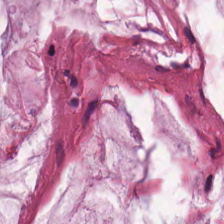0.5 µm/px · brightfield microscopy · H&E-stained tissue section — Q: What is the predominant tissue type?
A: This is mucus.
